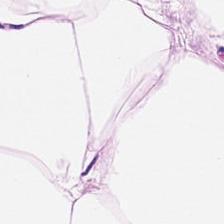Hematoxylin and eosin — This field is adipocytes.
